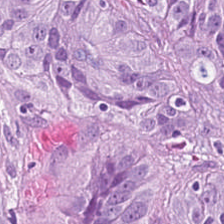H&E-stained tissue section — Adenocarcinoma.
